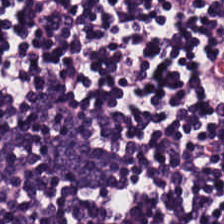Brightfield; H&E. This field is lymphocytes.
